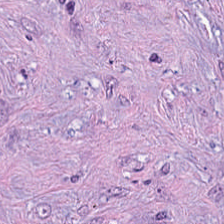This patch shows tumor-associated stroma.
